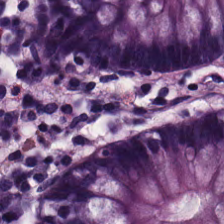0.5 µm per pixel; hematoxylin-and-eosin stained section; 224×224 pixel tile — Classification = non-neoplastic colon mucosa.
